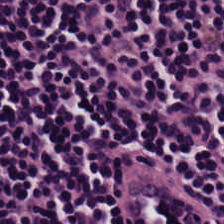Predominantly lymphocytic infiltrate.
